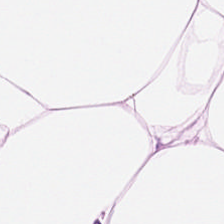H&E-stained tissue section. The predominant tissue is adipose.
